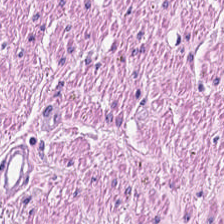Hematoxylin and eosin. 224×224 px tile — This patch shows smooth muscle.
